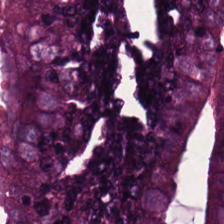H&E-stained tissue section; 224×224 pixel tile — Tissue class: colorectal adenocarcinoma.
